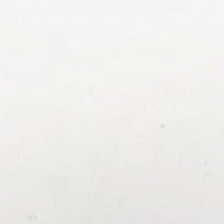Content — background.
